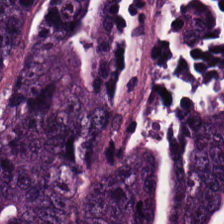Stain: H&E.
Acquisition: whole-slide-image patch.
Tissue: malignant epithelium.
